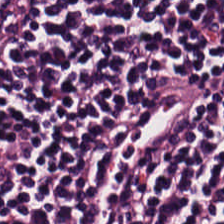H&E · 224×224 pixel tile.
This field is lymphocyte aggregate.
